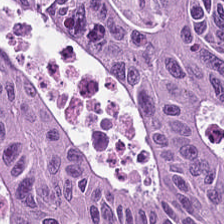H&E stain. This patch shows colorectal adenocarcinoma.
